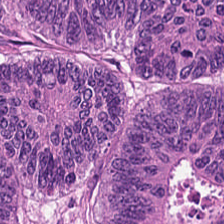H&E patch showing adenocarcinoma.
